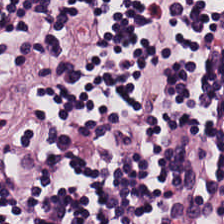H&E. Brightfield — The tissue here is lymphocyte aggregate.
